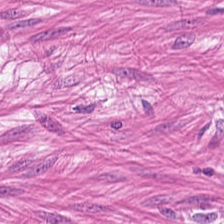Predominant tissue = muscularis.
